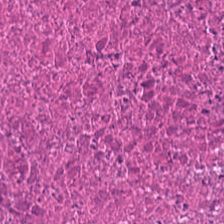H&E-stained tissue section. Brightfield — Tissue type = necrotic debris.
